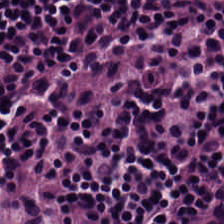Finding → lymphocytic infiltrate.
